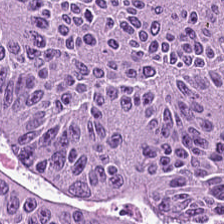H&E.
The predominant tissue is colorectal adenocarcinoma epithelium.
